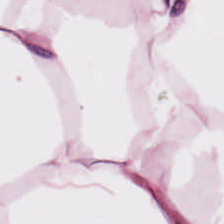224×224 px tile. 0.5 µm per pixel. H&E-stained tissue section. Impression — adipose.
